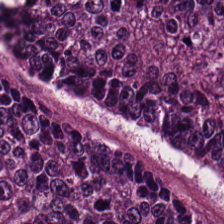Hematoxylin-and-eosin stained section.
Q: What is shown here?
A: It is colorectal adenocarcinoma.
